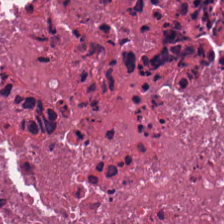Brightfield. H&E-stained tissue section.
This field is debris.
